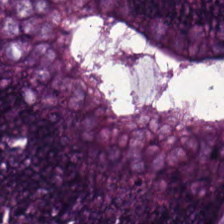H&E stain.
Q: What is the predominant tissue type?
A: It is tumor epithelium.
